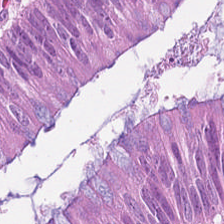Q: What is the predominant tissue type?
A: This is colorectal adenocarcinoma epithelium.
